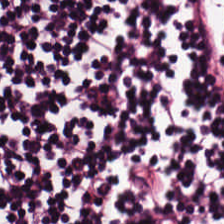H&E stain — {"tissue_type": "lymphocytes"}
